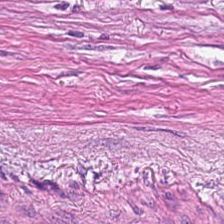H&E.
Q: What tissue type is shown here?
A: The field shows tumor stroma.
